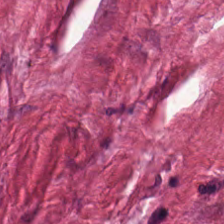Q: What tissue is shown?
A: The field shows tumor stroma.
